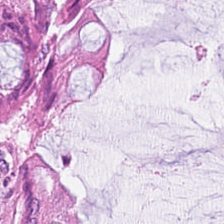H&E — Showing benign colonic mucosa.
